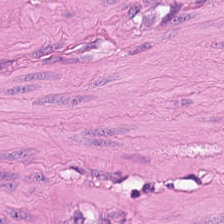Hematoxylin-and-eosin stained section. Q: What type of tissue is this?
A: It is muscularis.
